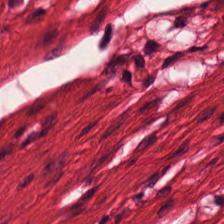H&E · formalin-fixed paraffin-embedded section.
Smooth-muscle tissue.
